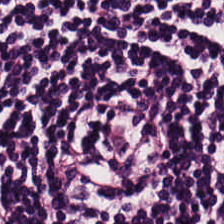H&E stain. FFPE. Histology — lymphocytes.
